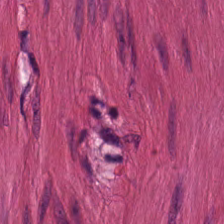Smooth-muscle tissue.
